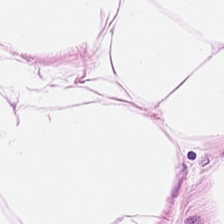Impression — adipose.
